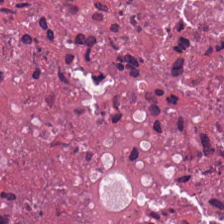Q: What type of tissue is this?
A: Cellular debris.
